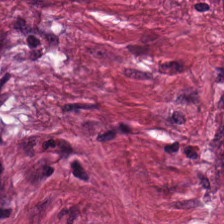Hematoxylin and eosin. Q: What tissue type is shown here?
A: It is tumor-associated stroma.
